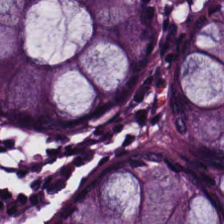Tissue type: non-neoplastic colon mucosa.
